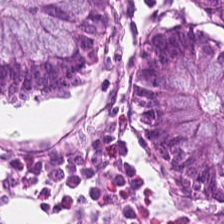H&E stain.
Histology → non-neoplastic colon mucosa.
